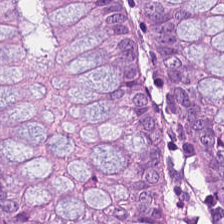WSI patch; hematoxylin-and-eosin stained section — Q: What does this patch show?
A: This is benign colonic mucosa.
